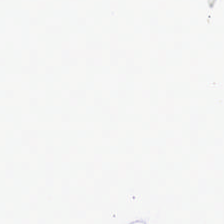The classification is background.
